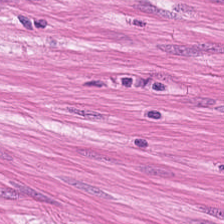Classification = muscularis.
